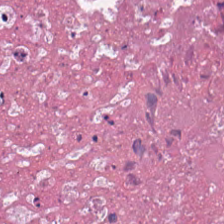Tissue class = necrotic debris.
